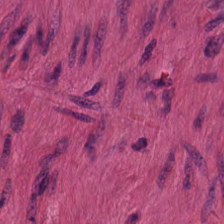0.5 microns per pixel; whole-slide-image patch; H&E. Q: What is the predominant tissue type?
A: This is smooth-muscle tissue.
